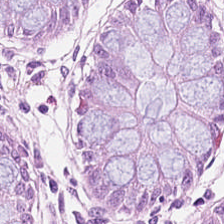224×224 px tile; H&E.
The classification is benign colonic mucosa.
